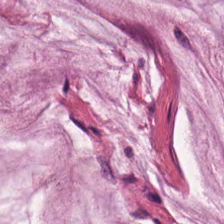Stain: H&E.
Acquisition: WSI patch.
Classification: extracellular mucin.
